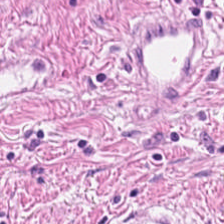Hematoxylin-and-eosin stained section; whole-slide-image patch — Q: What tissue is shown?
A: This is muscularis.
